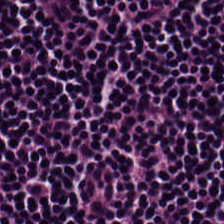WSI patch. Hematoxylin and eosin. FFPE — Predominantly lymphocytes.
